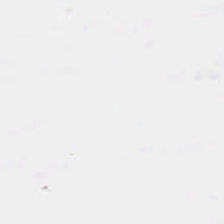H&E-stained tissue section. Empty field — background.
